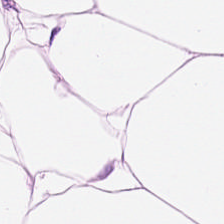The tissue here is adipocytes.
